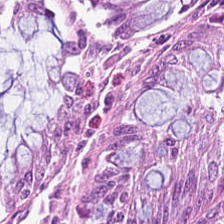H&E stain. The predominant tissue is benign colonic mucosa.
